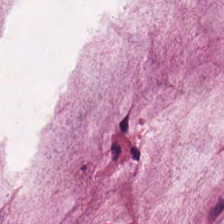H&E stain · FFPE.
Q: What is shown here?
A: Mucin.
